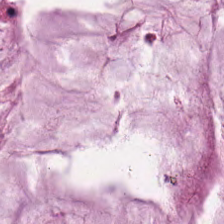Showing mucus.
